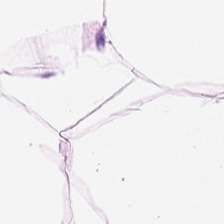Hematoxylin-and-eosin stained section; 0.5 µm per pixel. The tissue type is adipocytes.
